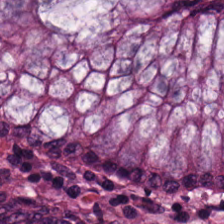Q: What is the predominant tissue type?
A: The field shows benign colonic mucosa.
